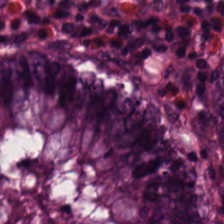H&E stain — Q: Classify this patch.
A: This is normal colonic mucosa.
